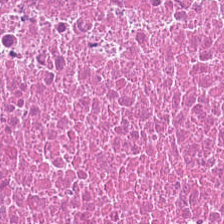Brightfield microscopy. Hematoxylin and eosin. 0.5 µm/px.
The predominant tissue is debris.
